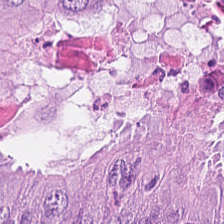H&E stain — Q: What is the predominant tissue type?
A: Tumor epithelium.
